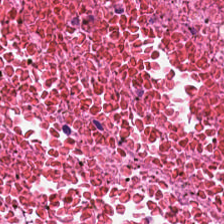H&E-stained tissue section; 224×224 px tile. The tissue here is necrotic debris.
